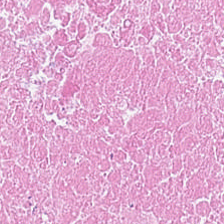Formalin-fixed paraffin-embedded section; 0.5 µm/px; H&E-stained tissue section. The predominant tissue is necrotic debris.
